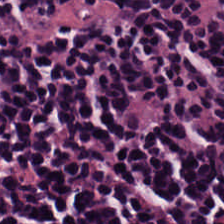20× equivalent magnification · H&E stain.
Q: What is shown here?
A: It is lymphoid infiltrate.
